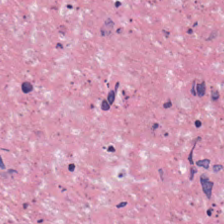Hematoxylin-and-eosin stained section. WSI patch. Q: Identify the tissue.
A: It is necrotic debris.
